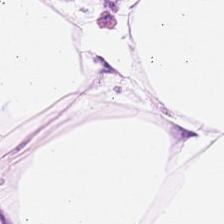Formalin-fixed paraffin-embedded section · hematoxylin-and-eosin stained section.
Predominant tissue: fat tissue.
